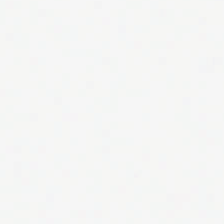H&E stain · 0.5 µm/px — Impression → background (no tissue).
